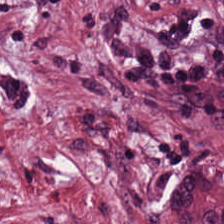Hematoxylin and eosin.
Q: What tissue is shown?
A: This is tumor-associated stroma.
